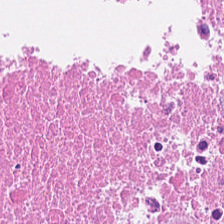Hematoxylin and eosin. 224×224 px patch. Q: What is the predominant tissue type?
A: Necrotic debris.
